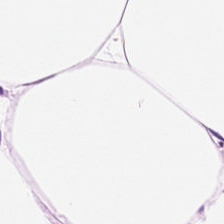Impression → adipose tissue.
